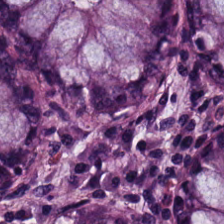H&E.
Tissue type — normal colonic mucosa.
